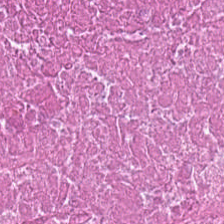Hematoxylin-and-eosin stained section — Tissue — necrotic debris.
